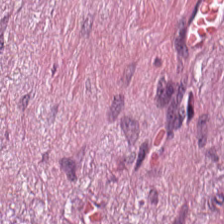H&E; brightfield — Finding → tumor stroma.
